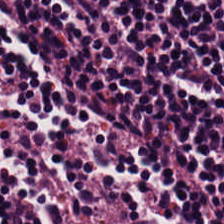Hematoxylin and eosin · formalin-fixed paraffin-embedded section.
Finding — lymphocytic infiltrate.
